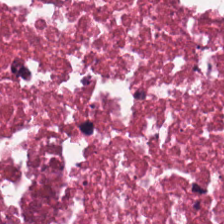224×224 pixel tile; hematoxylin and eosin. This patch shows debris.
